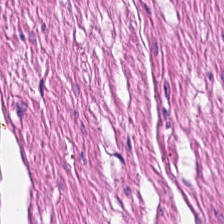FFPE tissue section · hematoxylin and eosin.
Smooth muscle.
